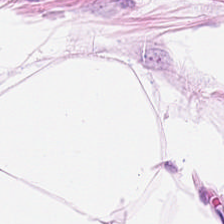H&E-stained tissue section. 0.5 µm per pixel.
Showing adipocytes.
